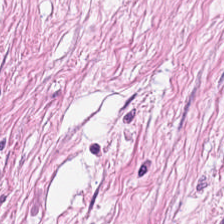0.5 µm per pixel. 224×224 px patch. Hematoxylin-and-eosin stained section — This field is tumor stroma.
